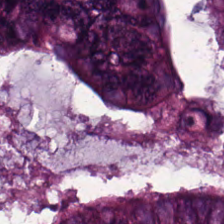Impression — tumor epithelium.
